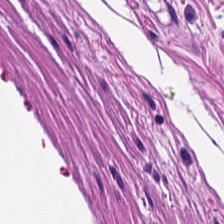Stain: H&E stain.
Tissue: smooth-muscle tissue.
